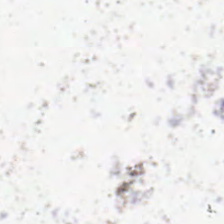{"content": "no tissue"}
